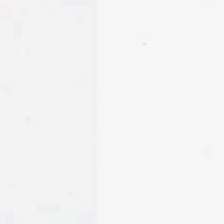224×224 pixel tile · H&E stain · 0.5 microns per pixel. Field content — background (no tissue).
